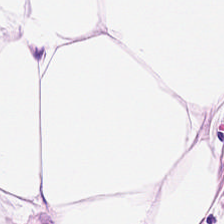H&E.
The tissue class is adipocytes.
